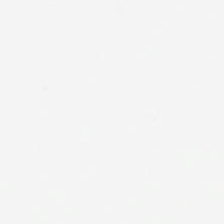Hematoxylin and eosin — Content = background.
